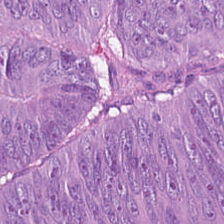224×224 pixel tile · H&E stain · brightfield microscopy. Q: What does this patch show?
A: This is tumor epithelium.
